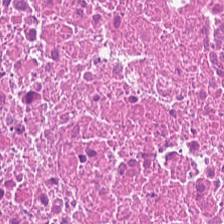H&E stain — Q: What does this patch show?
A: This is debris.
